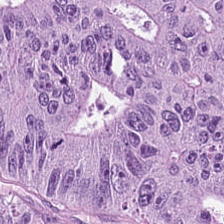H&E-stained tissue section.
Tissue — colorectal adenocarcinoma epithelium.
